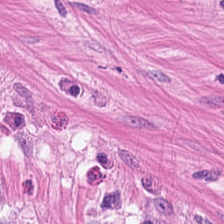Stain: H&E stain.
Tissue class: smooth muscle.
